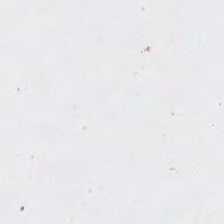Stain: H&E.
Field content: background (no tissue).
